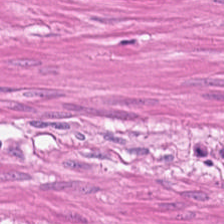0.5 µm per pixel; hematoxylin-and-eosin stained section.
The predominant tissue is muscularis.
